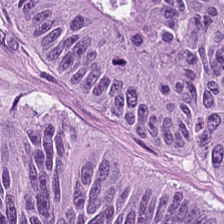Showing tumor epithelium.
